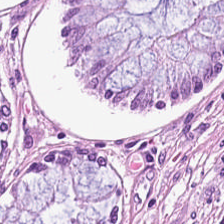Tissue: non-neoplastic colon mucosa.
